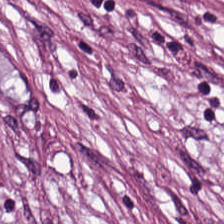H&E. Tissue type — tumor-associated stroma.
